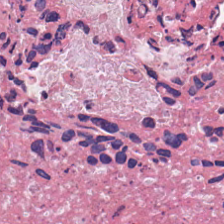H&E-stained tissue section — {"tissue_type": "necrotic debris"}
